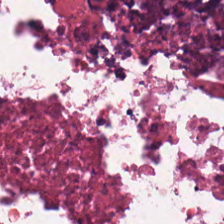0.5 µm/px · hematoxylin-and-eosin stained section · 224×224 px tile. The predominant tissue is debris.
